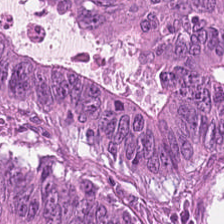H&E — colorectal adenocarcinoma epithelium.
